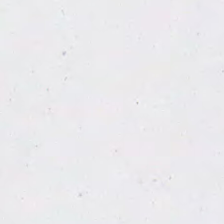Content — empty background.
